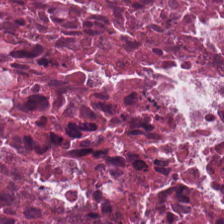H&E stain. This patch shows necrotic debris.
